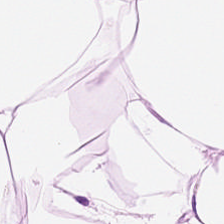0.5 microns per pixel. H&E.
Adipose.
